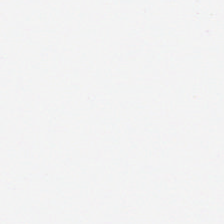FFPE. H&E.
Histology → background (no tissue).
